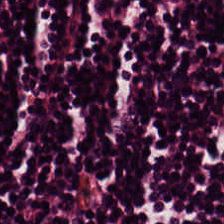Histology — lymphocytic infiltrate.
